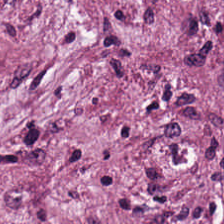This patch shows desmoplastic stroma.
